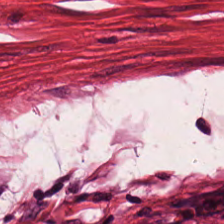Tissue — smooth-muscle tissue.
